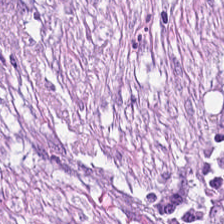Hematoxylin and eosin — Tissue class = tumor-associated stroma.
